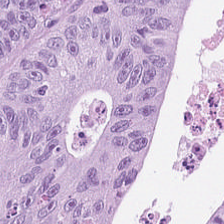H&E stain — This patch shows adenocarcinoma.
